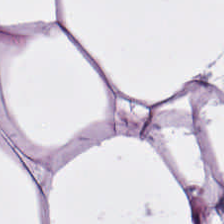Hematoxylin and eosin. WSI patch. Q: Identify the tissue.
A: The field shows adipose tissue.
